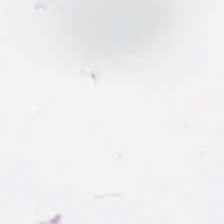H&E-stained tissue section · 0.5 microns per pixel.
No tissue present; background only.
